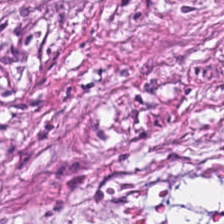H&E stain — Showing cancer-associated stroma.
